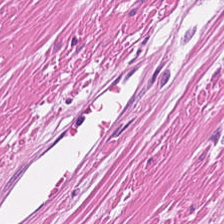Stain: hematoxylin-and-eosin stained section.
Tissue: smooth muscle.
